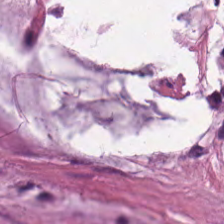Hematoxylin and eosin — Predominantly extracellular mucin.
